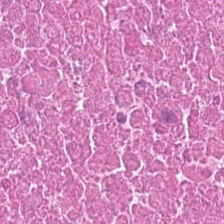H&E stain. Q: What is shown here?
A: This is cellular debris.
